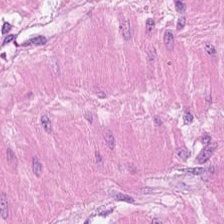Histology → muscularis.
